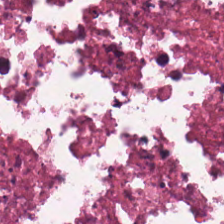H&E stain.
Tissue class = debris.
